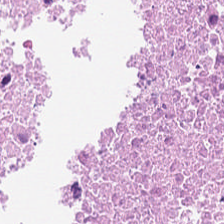Q: What is the predominant tissue type?
A: The field shows debris.
